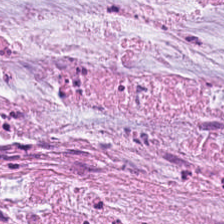Hematoxylin and eosin. FFPE tissue section. WSI patch. Q: Identify the tissue.
A: Mucus.
